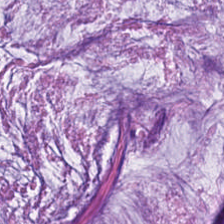Hematoxylin and eosin.
Showing mucus.
